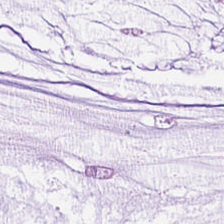Stain: hematoxylin and eosin.
Acquisition: brightfield microscopy.
Resolution: 0.5 µm per pixel.
Tissue: mucus.
